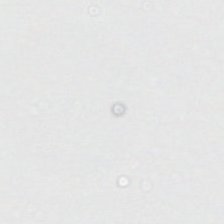Stain: H&E stain.
Tile size: 224×224 pixel tile.
Field content: background (no tissue).
